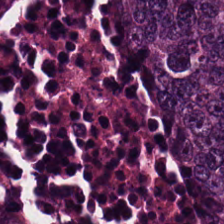This field is colorectal adenocarcinoma epithelium.
